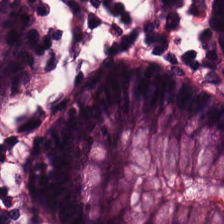0.5 µm/px; hematoxylin-and-eosin stained section.
Predominant tissue: benign colonic mucosa.
